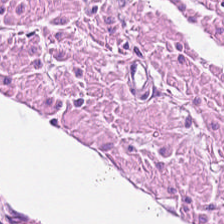H&E stain — Predominant tissue = smooth muscle.
